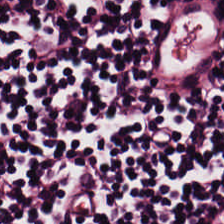Brightfield; 224×224 px tile; hematoxylin-and-eosin stained section — Tissue: lymphocyte aggregate.
